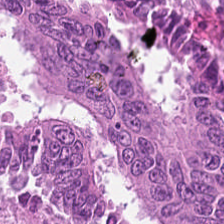Hematoxylin and eosin; 0.5 µm per pixel.
Predominantly colorectal adenocarcinoma epithelium.
